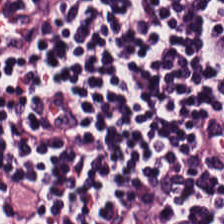Histology → lymphocytic infiltrate.
